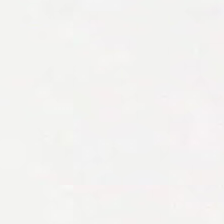H&E-stained tissue section. Empty field — background.
